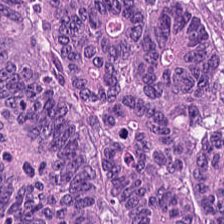H&E stain — Q: What does this patch show?
A: Tumor epithelium.
